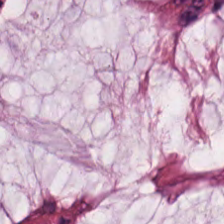H&E stain. Predominant tissue — mucin.
